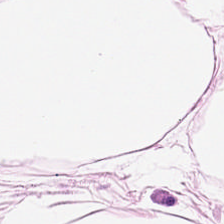WSI patch · H&E-stained tissue section. The tissue class is adipose tissue.
